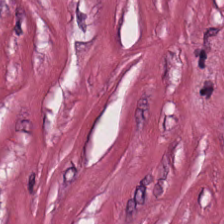224×224 px patch. H&E-stained tissue section. Formalin-fixed paraffin-embedded section. Q: Classify this patch.
A: Cancer-associated stroma.
